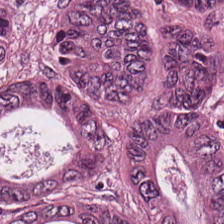The tissue here is tumor epithelium.
